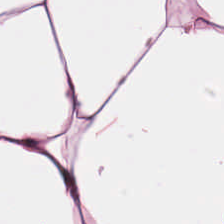H&E stain.
Tissue type = adipocytes.
